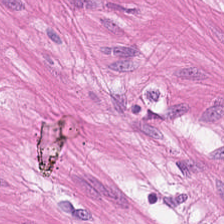H&E stain. 0.5 µm per pixel. This patch shows smooth-muscle tissue.
